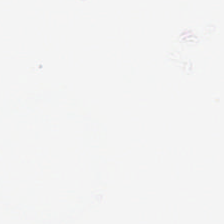Background (no tissue).
